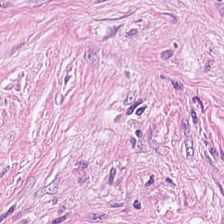H&E-stained tissue section.
Tissue type — tumor stroma.
